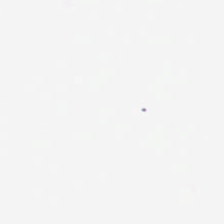H&E-stained tissue section. {"content": "no tissue"}
